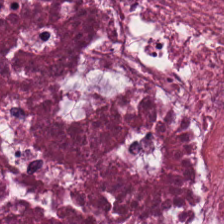H&E stain. WSI patch — Predominant tissue = debris.
